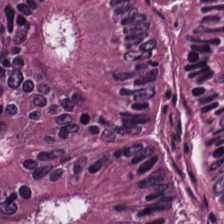H&E · 224×224 px patch. {"tissue_type": "colorectal adenocarcinoma epithelium"}
